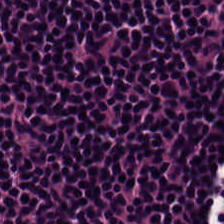FFPE · hematoxylin and eosin. Tissue class — lymphoid infiltrate.
